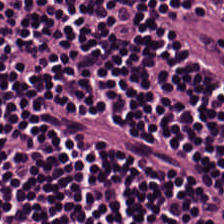H&E. Lymphocyte aggregate.
